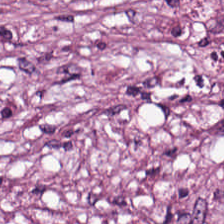Hematoxylin and eosin.
Tissue type — cancer-associated stroma.
